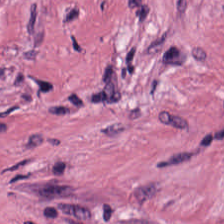0.5 µm per pixel. H&E. Q: What is shown in this field?
A: It is tumor stroma.
